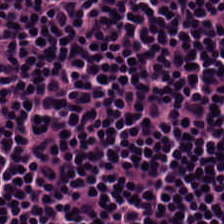Stain: H&E.
Classification: lymphocyte aggregate.
